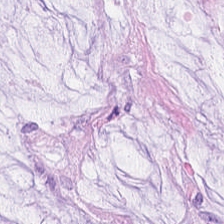Hematoxylin and eosin; 224×224 px tile; FFPE. The tissue is mucin.
